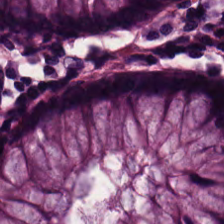Q: What type of tissue is this?
A: This is benign colonic mucosa.
